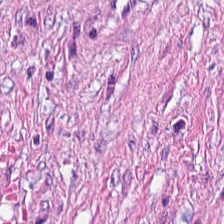FFPE tissue section; H&E stain — {"tissue_type": "cancer-associated stroma"}
